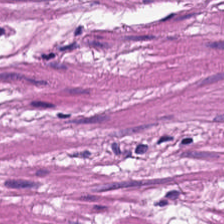Stain: hematoxylin and eosin.
Classification: muscularis.
